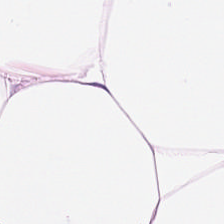H&E-stained tissue section. Tissue type: fat tissue.
